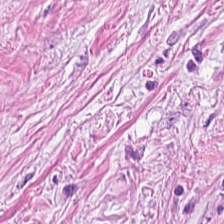0.5 µm per pixel; H&E-stained tissue section. Q: What type of tissue is this?
A: The field shows tumor stroma.
